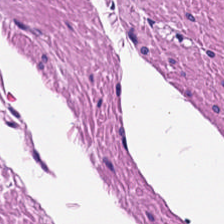Hematoxylin and eosin — The tissue type is muscularis.
